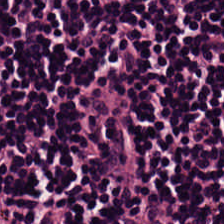224×224 px patch; H&E stain.
Finding — lymphoid infiltrate.
